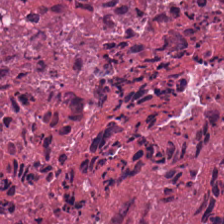The predominant tissue is cellular debris.
